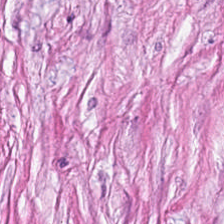H&E stain · whole-slide-image patch — Tissue class = tumor-associated stroma.
